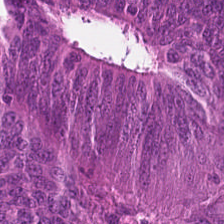Tissue type = malignant epithelium.
